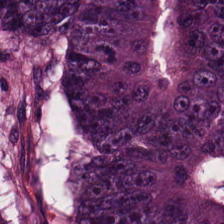The predominant tissue is colorectal adenocarcinoma.
